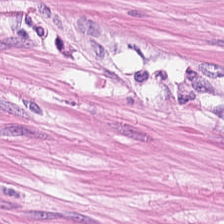H&E.
Finding — smooth muscle.
